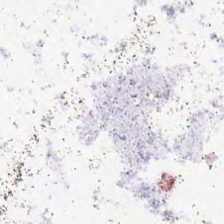H&E — This patch shows background (no tissue).
